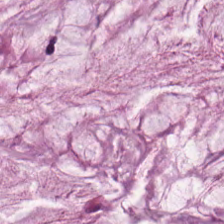Q: What tissue type is shown here?
A: It is mucus.
